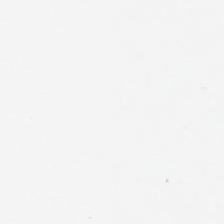224×224 px patch; H&E; brightfield microscopy.
Empty field — background.
